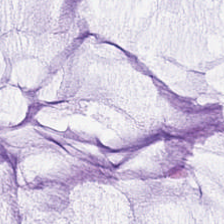H&E — Predominantly extracellular mucin.
